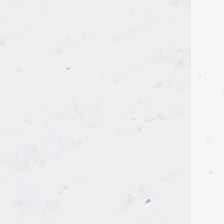Histology → no tissue.
